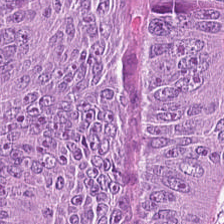224×224 px tile. H&E stain.
Tissue type — colorectal adenocarcinoma epithelium.
